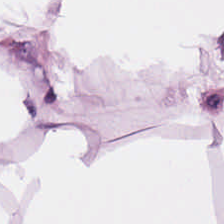H&E-stained tissue section. This patch shows adipose.
